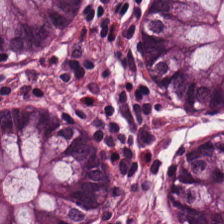Stain: H&E-stained tissue section.
Predominant tissue: normal colonic mucosa.
